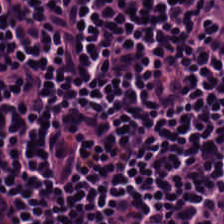H&E. Finding — lymphocytic infiltrate.
